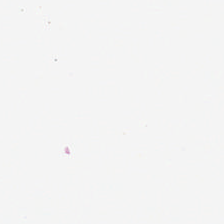224×224 px tile · hematoxylin and eosin · brightfield — Q: What is shown here?
A: This is empty background.
